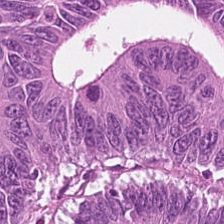Stain: hematoxylin-and-eosin stained section.
Classification: malignant epithelium.
